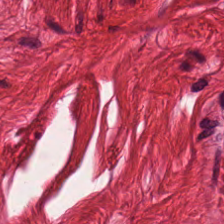H&E. Tissue — smooth-muscle tissue.
